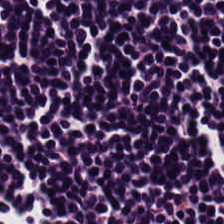224×224 pixel tile. H&E — Tissue class = lymphoid infiltrate.
